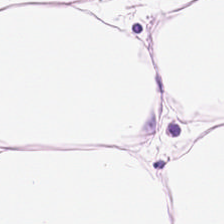224×224 px patch · hematoxylin and eosin · 0.5 microns per pixel.
The predominant tissue is adipocytes.
